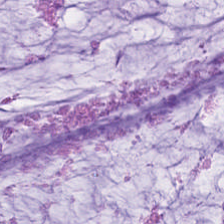Hematoxylin-and-eosin stained section; 0.5 µm per pixel.
This patch shows mucus.
